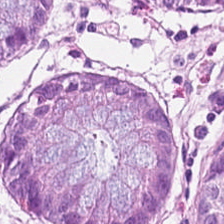H&E-stained tissue section — Showing normal colonic mucosa.
